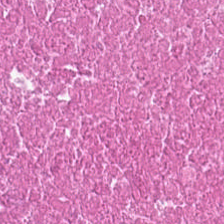{"tissue_type": "debris"}
